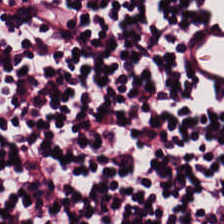Q: What tissue is shown?
A: It is lymphocyte aggregate.
